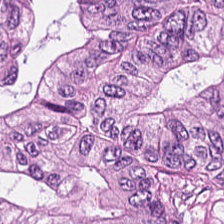Formalin-fixed paraffin-embedded section; 224×224 px tile; hematoxylin and eosin. This patch shows tumor epithelium.
